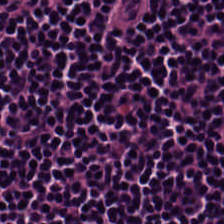224×224 px patch; FFPE; hematoxylin-and-eosin stained section. The tissue here is lymphocytic infiltrate.
